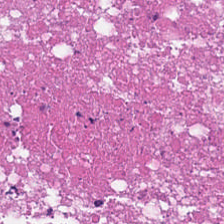Stain: H&E.
Tissue: cellular debris.
